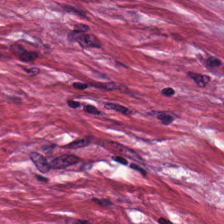Stain: H&E-stained tissue section.
Tissue type: cancer-associated stroma.
